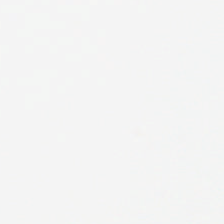Impression — no tissue.
